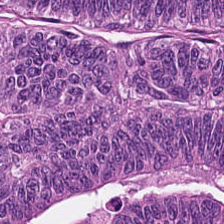224×224 px tile · 20× equivalent magnification · H&E — Q: Classify this patch.
A: Colorectal adenocarcinoma.
